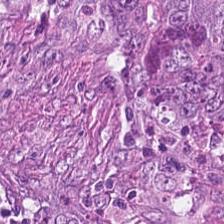WSI patch; 224×224 px patch; H&E. This patch shows adenocarcinoma.
